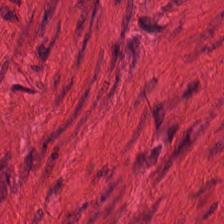H&E — Tissue class: muscularis.
